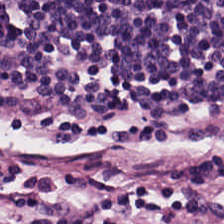The predominant tissue is lymphocytes.
